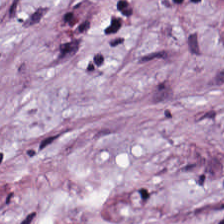Hematoxylin-and-eosin stained section.
Showing tumor stroma.
